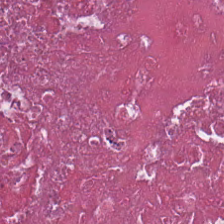Tissue type — necrotic debris.
